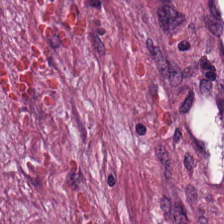H&E — Tissue type — cancer-associated stroma.
